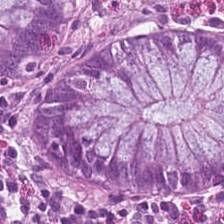Whole-slide-image patch. 0.5 µm per pixel. H&E-stained tissue section.
The tissue here is non-neoplastic colon mucosa.
